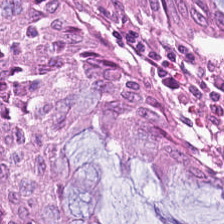Hematoxylin and eosin — Classification — non-neoplastic colon mucosa.
